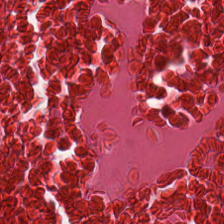H&E stain — {"tissue_type": "necrotic debris"}
